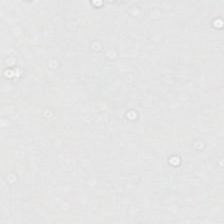No tissue.
